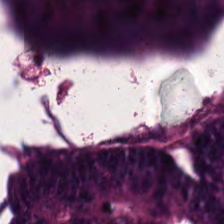H&E-stained tissue section. Q: What type of tissue is this?
A: It is colorectal adenocarcinoma epithelium.
